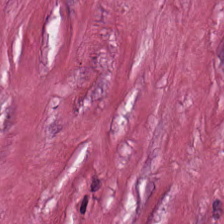20× equivalent magnification; FFPE tissue section; H&E — The predominant tissue is tumor-associated stroma.
